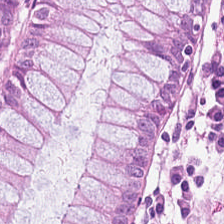Brightfield; FFPE tissue section; hematoxylin-and-eosin stained section. Predominantly non-neoplastic colon mucosa.
